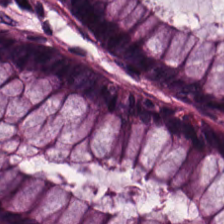Hematoxylin and eosin; 20× equivalent magnification; brightfield microscopy — {"tissue_type": "benign colonic mucosa"}
